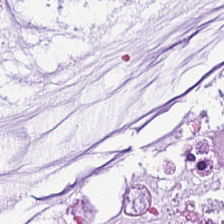Tissue — mucin.
